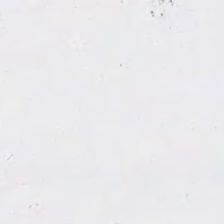Q: What is shown in this field?
A: Background.
